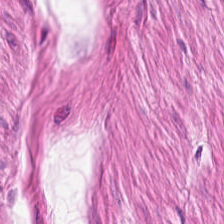Hematoxylin and eosin · FFPE tissue section — Tissue class: smooth muscle.
